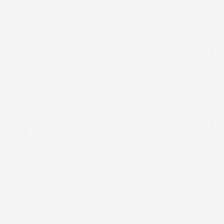No tissue present; background only.
